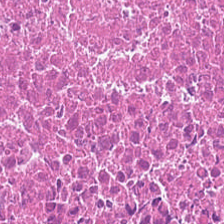Stain: H&E.
Classification: necrotic debris.
